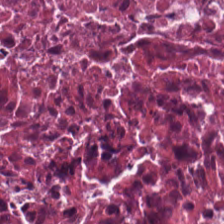Hematoxylin and eosin.
Predominantly cellular debris.
